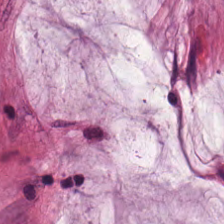Hematoxylin-and-eosin stained section — Q: Identify the tissue.
A: It is mucin.
